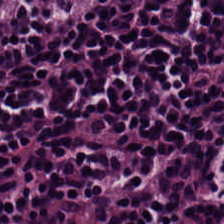Stain: hematoxylin and eosin.
Acquisition: whole-slide-image patch.
Preparation: FFPE tissue section.
Classification: lymphoid infiltrate.
